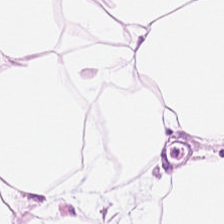The tissue here is adipocytes.
